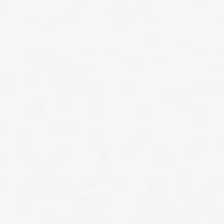H&E stain; formalin-fixed paraffin-embedded section.
Q: What is shown in this field?
A: No tissue.
